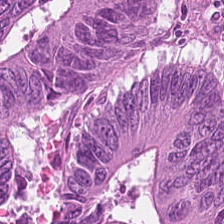H&E-stained tissue section. Q: What is the predominant tissue type?
A: It is malignant epithelium.
